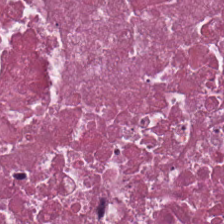Classification: debris.
